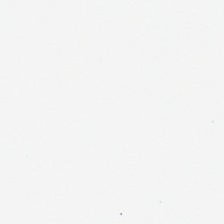Classification — empty background.
